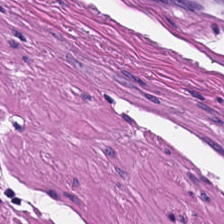Hematoxylin-and-eosin stained section.
Q: What is the predominant tissue type?
A: It is muscularis.
